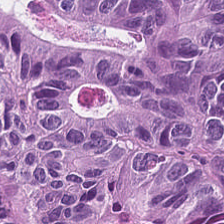Stain: H&E stain.
Acquisition: whole-slide-image patch.
Tissue type: colorectal adenocarcinoma.
